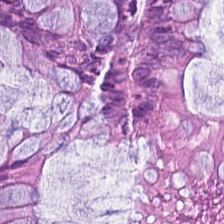Hematoxylin-and-eosin stained section. Finding — non-neoplastic colon mucosa.
